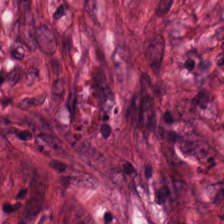Hematoxylin-and-eosin stained section.
Q: What tissue type is shown here?
A: It is tumor stroma.
